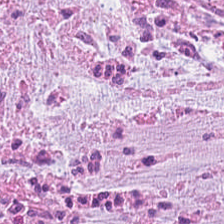H&E stain · FFPE — This field is tumor-associated stroma.
